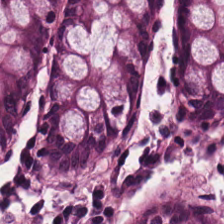Hematoxylin-and-eosin stained section — This patch shows benign colonic mucosa.
